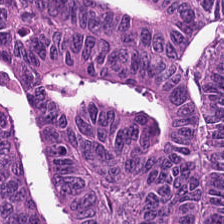H&E stain; FFPE tissue section. {"tissue_type": "colorectal adenocarcinoma epithelium"}
